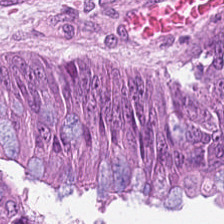Colorectal adenocarcinoma.
